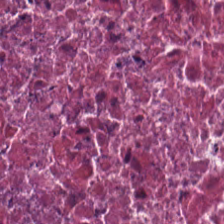20× equivalent magnification · H&E — Tissue = debris.
